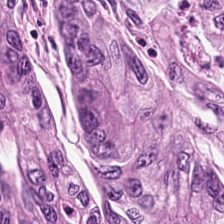H&E-stained tissue section. Histology → colorectal adenocarcinoma.
